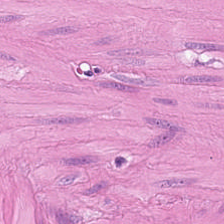Hematoxylin and eosin — {"tissue_type": "muscularis"}
